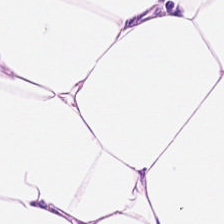Hematoxylin and eosin; FFPE; 224×224 px patch. Impression → fat tissue.
